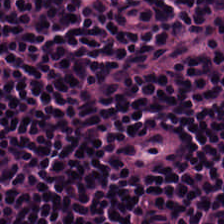Brightfield microscopy; H&E stain — The tissue type is lymphoid infiltrate.
